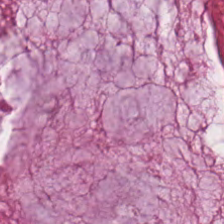H&E stain — Finding — mucus.
